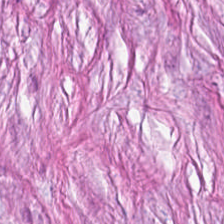Q: What is shown in this field?
A: This is cancer-associated stroma.
